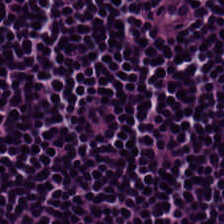H&E-stained tissue section.
Histology — lymphocyte aggregate.
